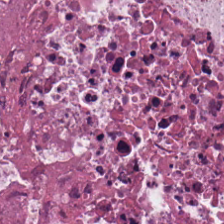H&E — This field is cellular debris.
